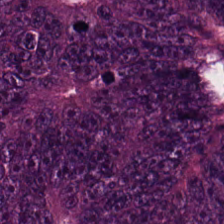Hematoxylin and eosin.
The predominant tissue is colorectal adenocarcinoma epithelium.
